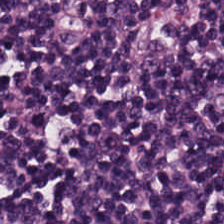20× equivalent magnification. H&E. FFPE — This field is lymphoid infiltrate.
